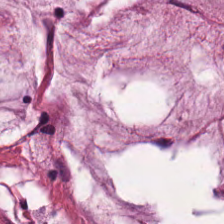H&E-stained tissue section. {"tissue_type": "mucus"}
